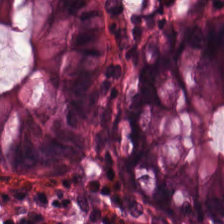H&E-stained tissue section. Tissue type: normal colon mucosa.
